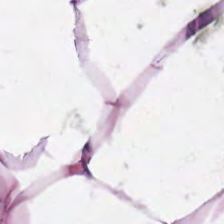Brightfield microscopy; 20× equivalent magnification; hematoxylin and eosin. Finding → adipose tissue.
